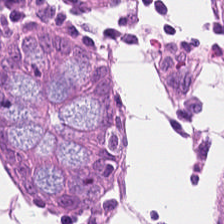H&E-stained tissue section. FFPE tissue section. Predominant tissue — normal colonic mucosa.
